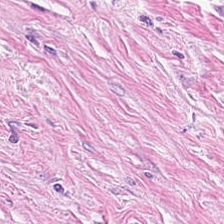FFPE. Hematoxylin-and-eosin stained section.
Predominantly tumor-associated stroma.
